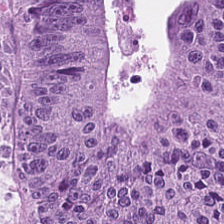H&E. Predominant tissue = colorectal adenocarcinoma.
